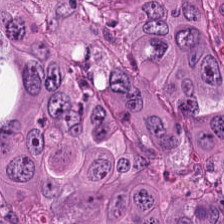Hematoxylin-and-eosin stained section.
The predominant tissue is colorectal adenocarcinoma epithelium.
